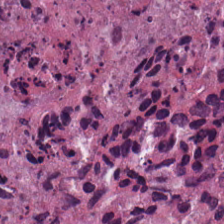Brightfield microscopy; hematoxylin-and-eosin stained section; 224×224 px patch. Tissue class = cellular debris.
